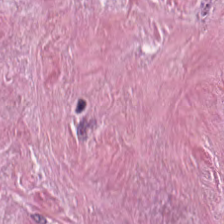FFPE tissue section · hematoxylin-and-eosin stained section. This field is cancer-associated stroma.
